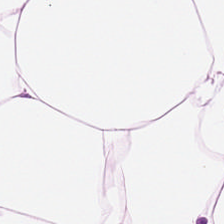H&E stain · FFPE tissue section — Tissue = adipose tissue.
